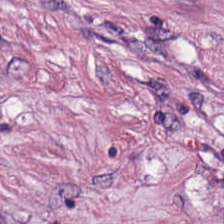H&E stain — Tissue = cancer-associated stroma.
